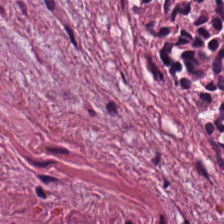Histology — tumor stroma.
